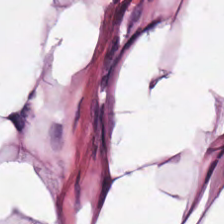H&E-stained tissue section — {"tissue_type": "adipocytes"}
